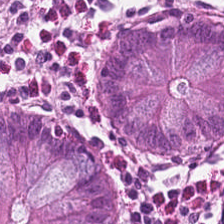H&E.
Q: Classify this patch.
A: Non-neoplastic colon mucosa.
